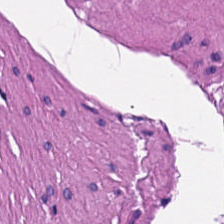H&E-stained tissue section.
The tissue class is smooth muscle.
